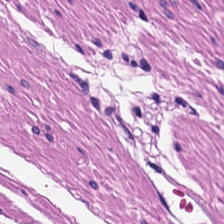H&E patch showing muscularis.
